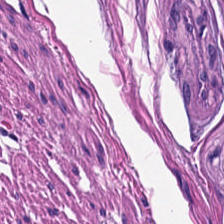Stain: H&E stain.
Tissue: smooth muscle.
